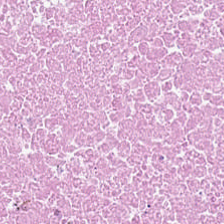Cellular debris.
